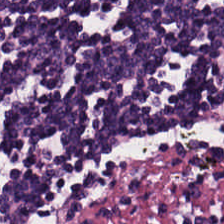H&E-stained tissue section — {"tissue_type": "lymphocyte aggregate"}
